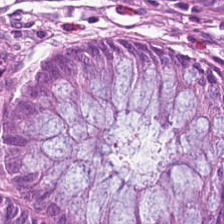H&E-stained tissue section — Q: What does this patch show?
A: The field shows benign colonic mucosa.
